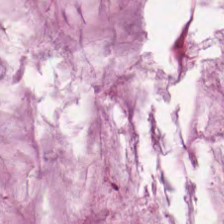H&E.
{"tissue_type": "extracellular mucin"}
